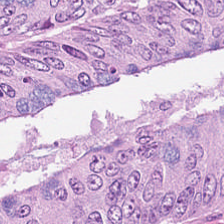H&E stain · whole-slide-image patch — Tissue — tumor epithelium.
